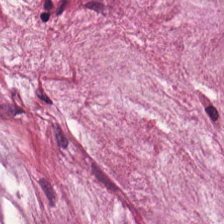H&E stain.
Tissue: mucus.
